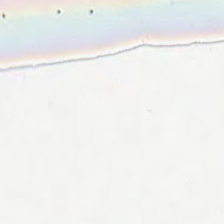Stain: hematoxylin-and-eosin stained section.
Classification: background.
